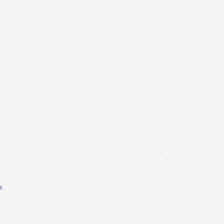Hematoxylin and eosin — Background.
